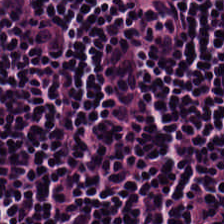Stain: hematoxylin-and-eosin stained section.
Tissue type: lymphocytic infiltrate.
